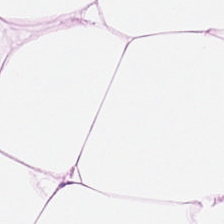H&E-stained tissue section showing adipocytes.
